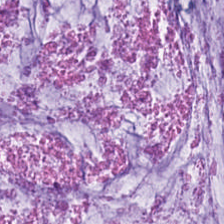H&E-stained tissue section; brightfield.
{"tissue_type": "extracellular mucin"}
